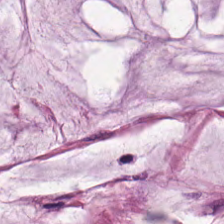H&E — Q: Classify this patch.
A: It is extracellular mucin.
